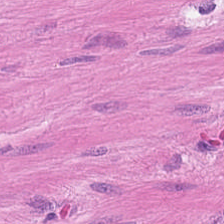Hematoxylin-and-eosin stained section — Finding → muscularis.
